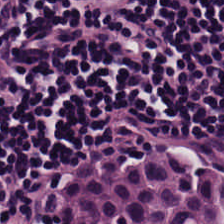Hematoxylin and eosin. The predominant tissue is lymphocyte aggregate.
